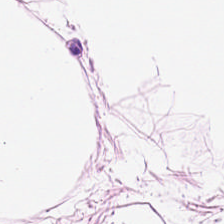Finding → adipose.
